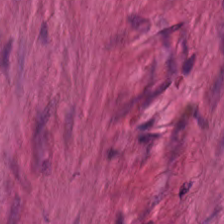Hematoxylin-and-eosin stained section. 0.5 microns per pixel — {"tissue_type": "smooth muscle"}
